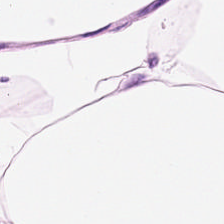Classification — adipocytes.
